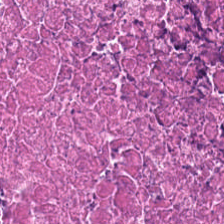Tissue class — cellular debris.
